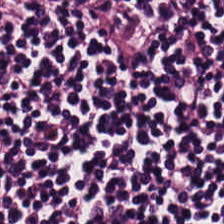FFPE; 20× equivalent magnification; H&E stain.
Predominant tissue: lymphocytic infiltrate.
